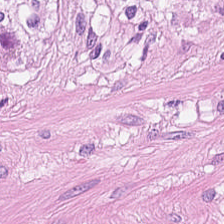This patch shows smooth muscle.
